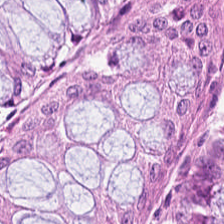Hematoxylin and eosin.
The tissue here is benign colonic mucosa.
